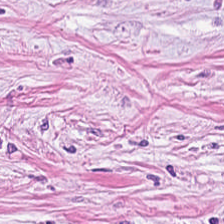224×224 px tile · hematoxylin and eosin · WSI patch. Finding — cancer-associated stroma.
